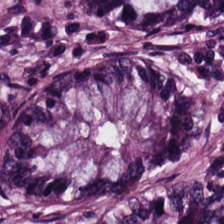H&E-stained tissue section · 224×224 px patch — The tissue type is non-neoplastic colon mucosa.
